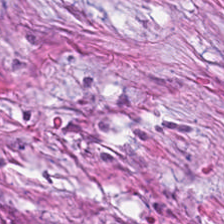Stain: H&E stain.
Classification: tumor stroma.
